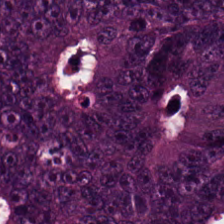WSI patch · 224×224 pixel tile · H&E. The tissue here is colorectal adenocarcinoma epithelium.
